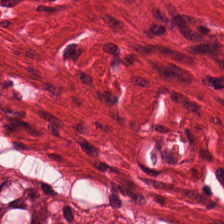Brightfield · hematoxylin-and-eosin stained section · 224×224 px tile.
Predominantly smooth muscle.
